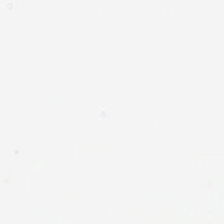This field is background (no tissue).
